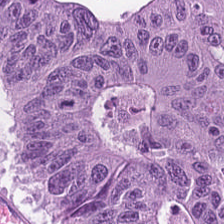H&E-stained tissue section — Tissue class — adenocarcinoma.
